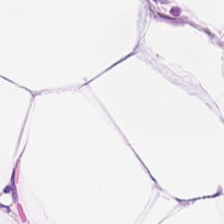H&E stain — Impression — adipocytes.
